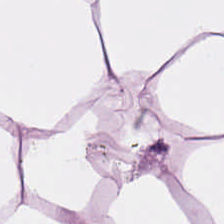Hematoxylin and eosin.
This field is fat tissue.
